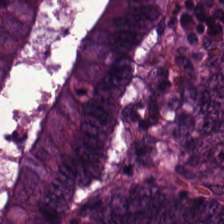Hematoxylin and eosin — This patch shows tumor epithelium.
